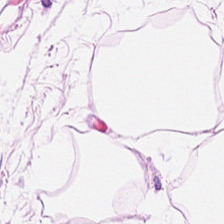Stain: H&E-stained tissue section.
Acquisition: whole-slide-image patch.
Tissue type: adipose.
